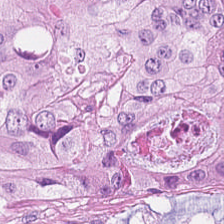Q: What is shown here?
A: This is colorectal adenocarcinoma epithelium.
